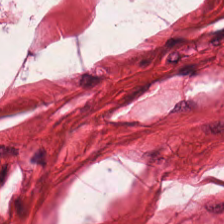Finding — smooth muscle.
